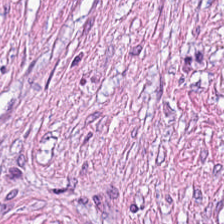224×224 px tile · hematoxylin and eosin.
Predominant tissue = tumor-associated stroma.
